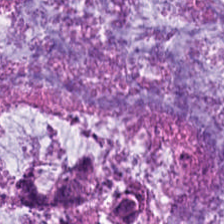Hematoxylin-and-eosin section: mucus.
